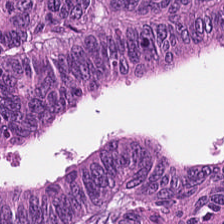The tissue here is colorectal adenocarcinoma epithelium.
